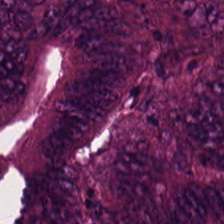Stain: H&E stain.
Tissue: colorectal adenocarcinoma epithelium.
